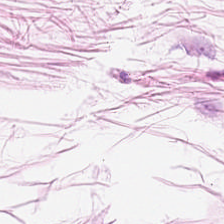Brightfield microscopy; FFPE; H&E-stained tissue section.
Predominantly adipose tissue.
